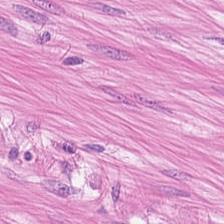Hematoxylin and eosin · 224×224 px patch.
The predominant tissue is muscularis.
